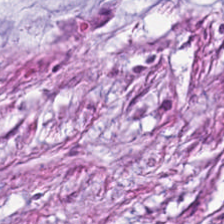The predominant tissue is tumor-associated stroma.
